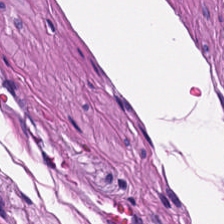H&E-stained tissue section. Brightfield. 224×224 pixel tile.
Classification — smooth-muscle tissue.
